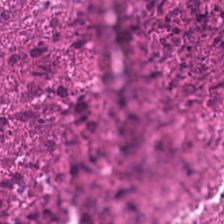Hematoxylin and eosin; 0.5 microns per pixel. The predominant tissue is debris.
